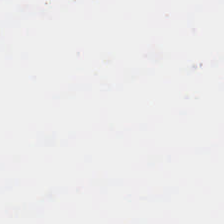Empty background.
